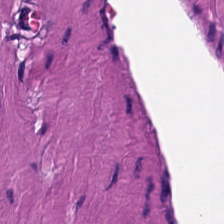Hematoxylin-and-eosin stained section. Q: What does this patch show?
A: The field shows muscularis.
